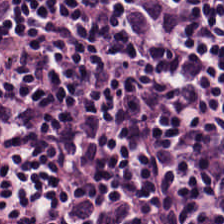Stain: hematoxylin-and-eosin stained section.
Predominant tissue: lymphocytic infiltrate.
